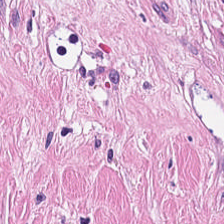H&E stain. {"tissue_type": "desmoplastic stroma"}
